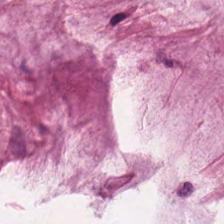Formalin-fixed paraffin-embedded section · hematoxylin-and-eosin stained section. Impression → mucin.
